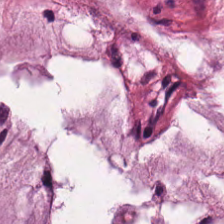H&E stain — Q: Identify the tissue.
A: It is extracellular mucin.
